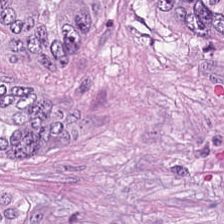Hematoxylin-and-eosin stained section; brightfield microscopy; FFPE tissue section. Q: What tissue type is shown here?
A: The field shows tumor epithelium.
